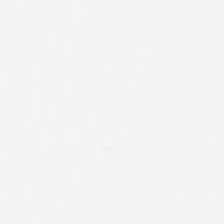Content = background.
